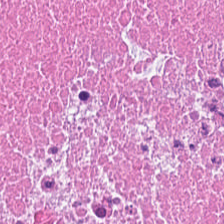H&E stain. Showing debris.
